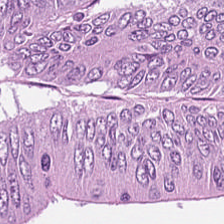Classification — colorectal adenocarcinoma.
